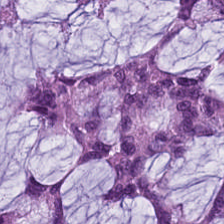H&E. Q: What is shown in this field?
A: Extracellular mucin.
